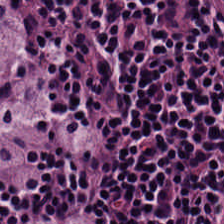H&E-stained tissue section. Classification — lymphocytes.
